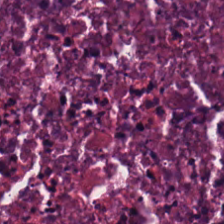Showing debris.
